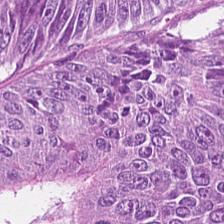H&E stain. Showing malignant epithelium.
